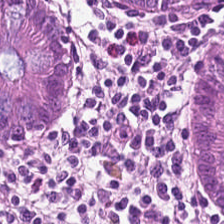Hematoxylin-and-eosin stained section.
The tissue type is normal colon mucosa.
